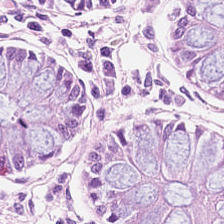Hematoxylin and eosin.
Tissue type — normal colon mucosa.
